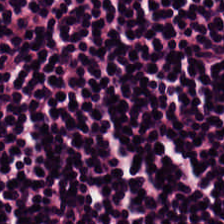Formalin-fixed paraffin-embedded section; hematoxylin-and-eosin stained section; 224×224 pixel tile — The classification is lymphocytic infiltrate.
